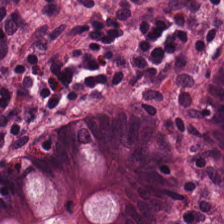224×224 pixel tile · H&E stain · 0.5 µm/px.
The predominant tissue is normal colon mucosa.
